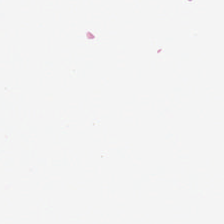H&E — No tissue present; background only.
